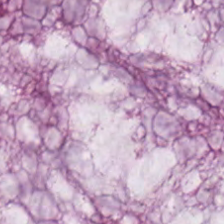Hematoxylin and eosin — Finding → mucus.
